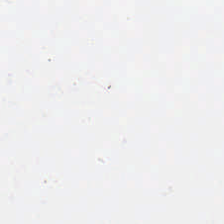Hematoxylin and eosin · 0.5 µm per pixel.
Q: What is shown in this field?
A: It is background.
